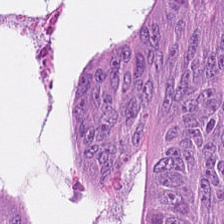Q: What tissue type is shown here?
A: The field shows colorectal adenocarcinoma.
